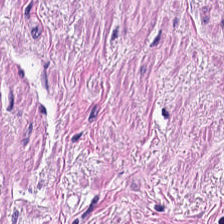Brightfield; H&E-stained tissue section; 0.5 µm/px — Finding — smooth-muscle tissue.
